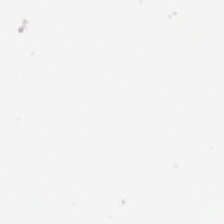20× equivalent magnification. H&E — The classification is background (no tissue).
